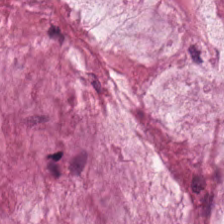Q: What is shown in this field?
A: Extracellular mucin.
